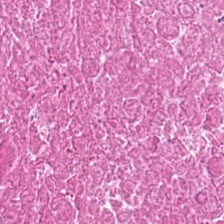Hematoxylin and eosin. Brightfield microscopy — Predominant tissue = necrotic debris.
